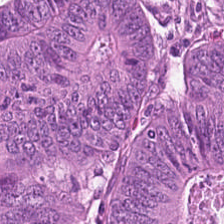H&E.
Q: What is shown here?
A: This is tumor epithelium.
